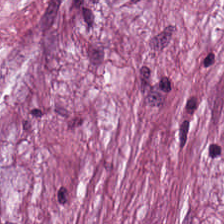Hematoxylin-and-eosin stained section — Q: What is shown in this field?
A: Desmoplastic stroma.
